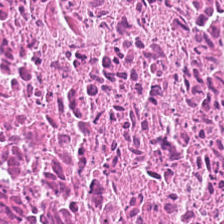FFPE tissue section · 224×224 px tile · hematoxylin-and-eosin stained section. Tissue — necrotic debris.
